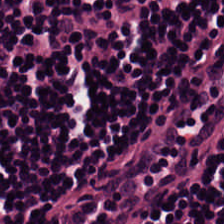Q: What is the predominant tissue type?
A: Lymphocytes.
